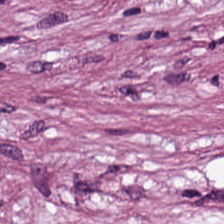H&E.
Cancer-associated stroma.
